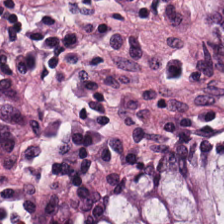WSI patch; H&E-stained tissue section.
Classification: normal colon mucosa.
